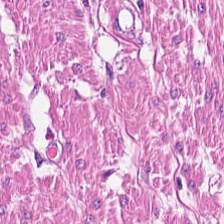H&E · 0.5 µm per pixel · formalin-fixed paraffin-embedded section. Impression → smooth muscle.
